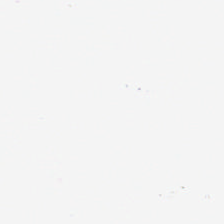Formalin-fixed paraffin-embedded section. 0.5 µm/px. H&E stain — Field content: empty background.
